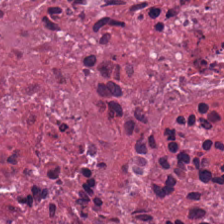Formalin-fixed paraffin-embedded section. Whole-slide-image patch. H&E-stained tissue section. Finding — cellular debris.
